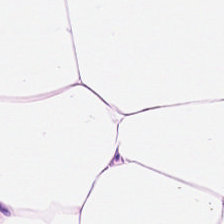224×224 px tile; whole-slide-image patch; hematoxylin-and-eosin stained section — Showing fat tissue.
